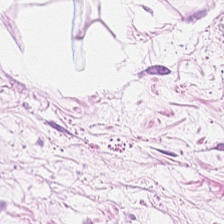0.5 µm per pixel; H&E-stained tissue section; FFPE. Finding → fat tissue.
